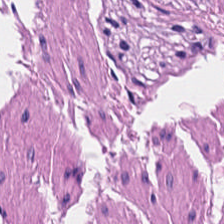H&E stain — This field is muscularis.
